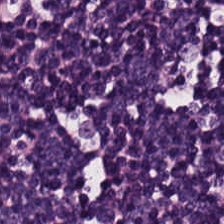224×224 pixel tile; H&E. The predominant tissue is lymphocytic infiltrate.
